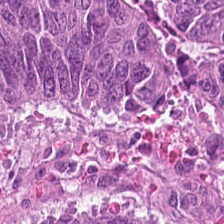20× equivalent magnification. H&E-stained tissue section — This patch shows tumor epithelium.
